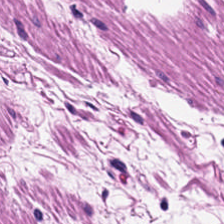Stain: hematoxylin-and-eosin stained section.
Preparation: formalin-fixed paraffin-embedded section.
Classification: muscularis.
